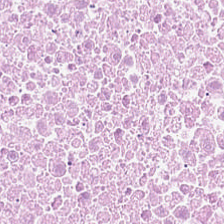The tissue is cellular debris.
